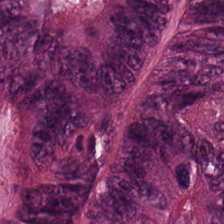Hematoxylin and eosin.
Predominantly adenocarcinoma.
